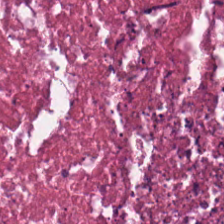Tissue type = debris.
